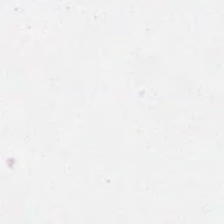Hematoxylin-and-eosin stained section.
Impression — empty background.
